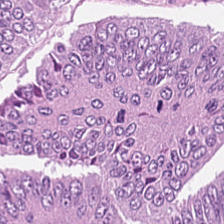Hematoxylin and eosin; 0.5 µm/px — {"tissue_type": "tumor epithelium"}
